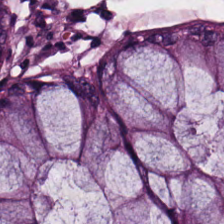224×224 pixel tile. Hematoxylin-and-eosin stained section. 0.5 µm/px.
Tissue = benign colonic mucosa.
